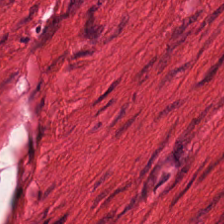Stain: hematoxylin-and-eosin stained section.
Predominant tissue: smooth muscle.
